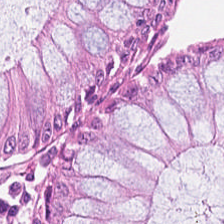H&E stain; 0.5 µm/px — Predominant tissue — non-neoplastic colon mucosa.
